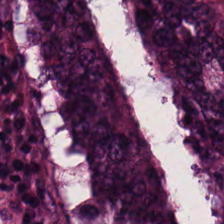H&E stain. Classification = colorectal adenocarcinoma epithelium.
